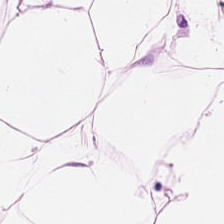H&E stain — Q: Classify this patch.
A: The field shows adipose.
